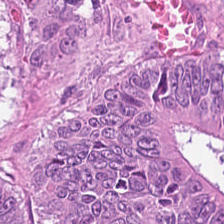WSI patch · hematoxylin-and-eosin stained section. Tumor epithelium.
